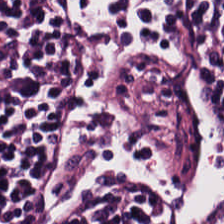H&E stain · 224×224 px tile. Q: What tissue is shown?
A: Lymphoid infiltrate.
